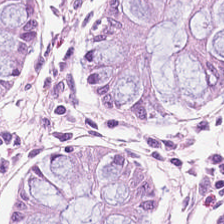0.5 microns per pixel. H&E — Normal colon mucosa.
